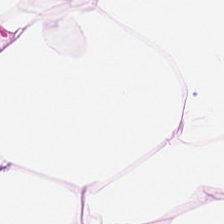The predominant tissue is adipocytes.
